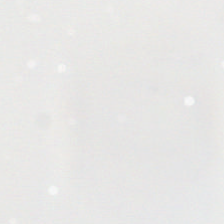Stain: H&E-stained tissue section.
Content: no tissue.
